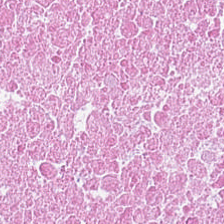The predominant tissue is debris.
